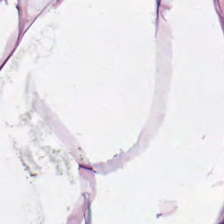H&E-stained tissue section. Q: What tissue type is shown here?
A: It is fat tissue.
